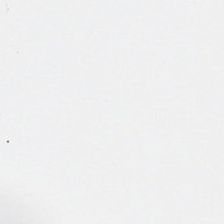FFPE. H&E stain.
Background.
